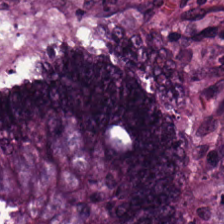H&E stain. 224×224 px patch — The tissue class is colorectal adenocarcinoma epithelium.
